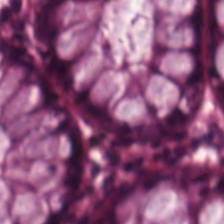Hematoxylin-and-eosin stained section; whole-slide-image patch. Q: What type of tissue is this?
A: It is normal colonic mucosa.
